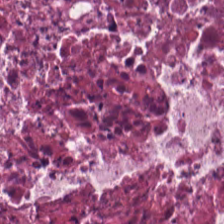Hematoxylin and eosin · 0.5 microns per pixel.
{"tissue_type": "debris"}
